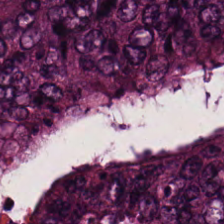0.5 µm/px. H&E stain.
Showing colorectal adenocarcinoma epithelium.
